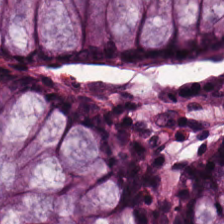H&E-stained tissue section. The tissue type is benign colonic mucosa.
